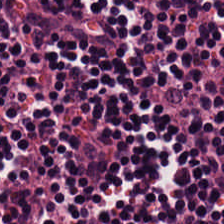Hematoxylin-and-eosin stained section · 0.5 microns per pixel. Finding → lymphocytic infiltrate.
